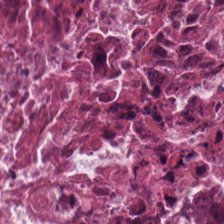Tissue type: cellular debris.
